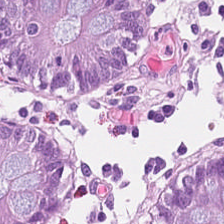Hematoxylin and eosin. Showing normal colonic mucosa.
